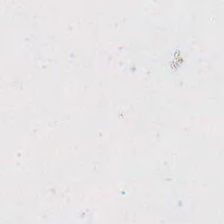H&E stain · 20× equivalent magnification. Histology → empty background.
